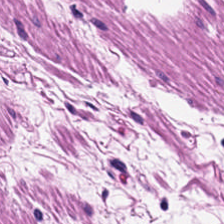H&E-stained tissue section · brightfield microscopy. The predominant tissue is smooth muscle.
